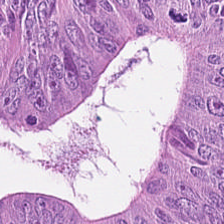H&E stain — Tissue class = colorectal adenocarcinoma.
